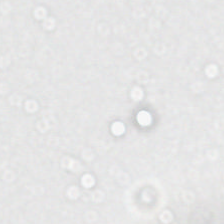FFPE; H&E — Field content — empty background.
